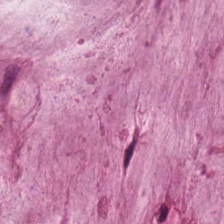224×224 pixel tile; hematoxylin-and-eosin stained section; FFPE.
Mucin.
